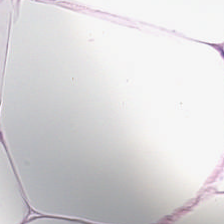H&E; brightfield microscopy — Finding → adipocytes.
